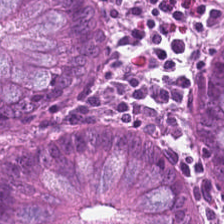H&E.
Impression — normal colon mucosa.
